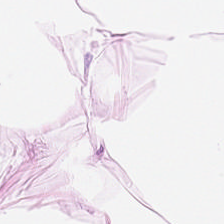H&E stain; FFPE.
The tissue type is adipose.
